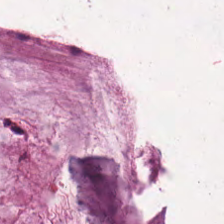Stain: hematoxylin-and-eosin stained section.
Tissue type: mucus.
